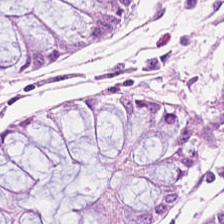H&E stain.
Showing benign colonic mucosa.
